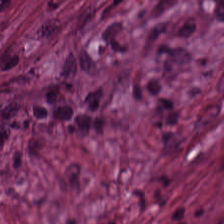Q: What tissue type is shown here?
A: The field shows cancer-associated stroma.
